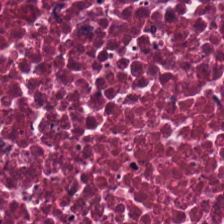0.5 µm/px; hematoxylin and eosin; FFPE.
The tissue here is debris.
